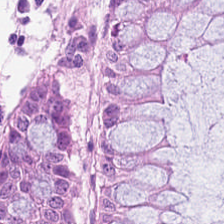Histology — normal colonic mucosa.
